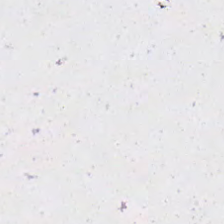H&E-stained tissue section — The classification is no tissue.
